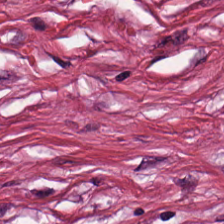Hematoxylin-and-eosin stained section.
Q: What is the predominant tissue type?
A: It is desmoplastic stroma.
